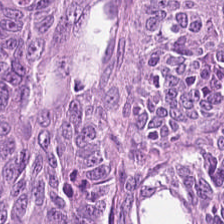Hematoxylin-and-eosin stained section · 20× equivalent magnification · brightfield. Predominantly colorectal adenocarcinoma epithelium.
